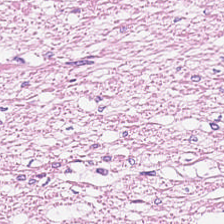FFPE; H&E stain.
This patch shows smooth-muscle tissue.
